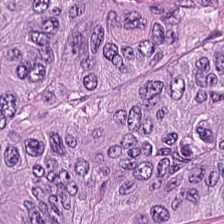Q: What tissue type is shown here?
A: This is tumor epithelium.
